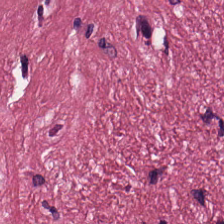Brightfield; hematoxylin-and-eosin stained section; FFPE. Predominant tissue — cancer-associated stroma.
